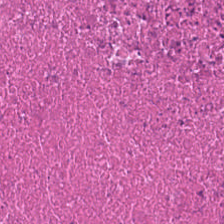H&E stain · FFPE tissue section — This field is cellular debris.
